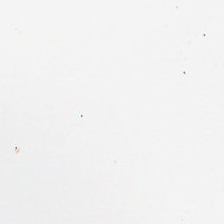Hematoxylin-and-eosin stained section; formalin-fixed paraffin-embedded section — Classification = background.
